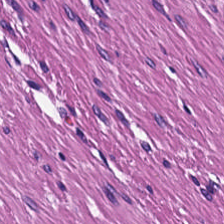FFPE tissue section. Hematoxylin-and-eosin stained section. {"tissue_type": "muscularis"}
